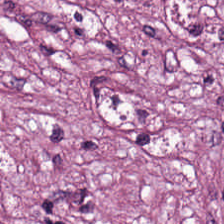Stain: H&E stain.
Tissue class: desmoplastic stroma.
